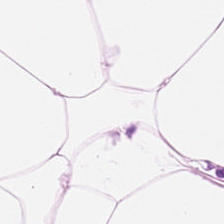Whole-slide-image patch · H&E-stained tissue section.
Tissue type = adipose tissue.
